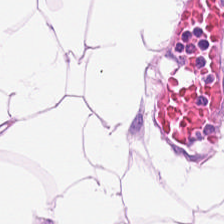Hematoxylin and eosin. Tissue type = adipose.
